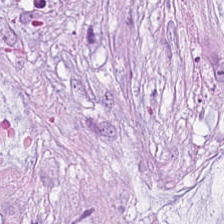Tissue type: extracellular mucin.
